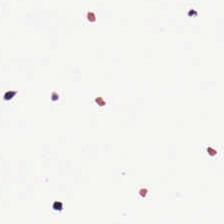Brightfield; H&E.
{"content": "empty background"}
